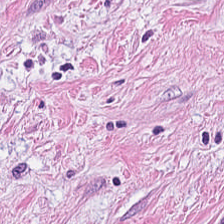Stain: H&E stain.
Preparation: FFPE tissue section.
Acquisition: whole-slide-image patch.
Tissue: tumor-associated stroma.
